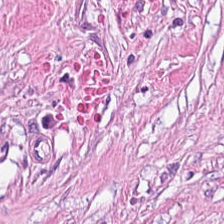Hematoxylin and eosin — The tissue here is tumor-associated stroma.
